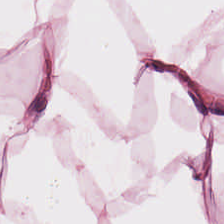H&E-stained tissue section — This field is fat tissue.
